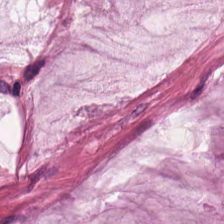224×224 px tile. H&E stain. 0.5 µm per pixel.
Finding — mucus.
